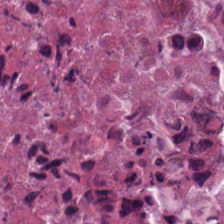Finding — debris.
